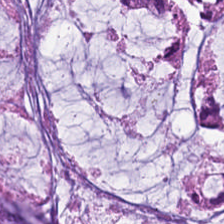Stain: hematoxylin-and-eosin stained section.
Classification: extracellular mucin.
